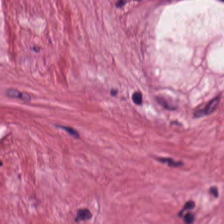H&E.
Tissue — cancer-associated stroma.
